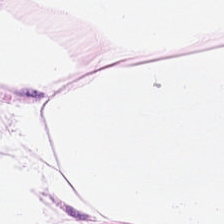The tissue is adipose.
